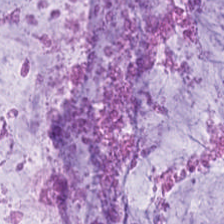H&E. Mucin.
